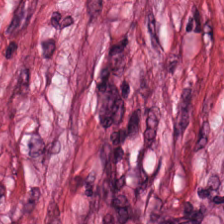H&E stain. WSI patch — Tissue class = desmoplastic stroma.
